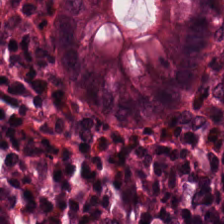Brightfield microscopy; H&E stain; FFPE — {"tissue_type": "benign colonic mucosa"}
